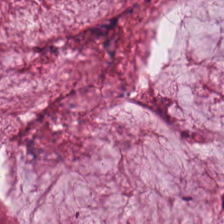H&E-stained tissue section · FFPE · 0.5 µm/px.
Tissue class: mucin.
